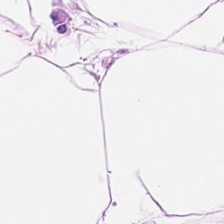Stain: hematoxylin-and-eosin stained section.
Tissue: adipose.
